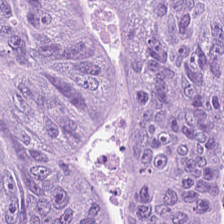{"tissue_type": "colorectal adenocarcinoma epithelium"}
